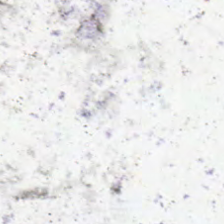0.5 µm/px · hematoxylin and eosin · 224×224 px patch — Empty field — background.
